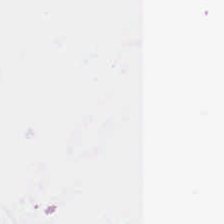Hematoxylin-and-eosin stained section. Background — no tissue in this field.
